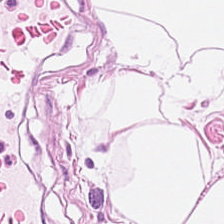Q: What type of tissue is this?
A: The field shows adipose.
